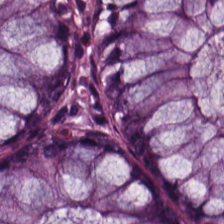H&E — normal colon mucosa.
